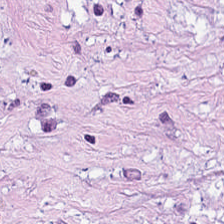Finding → desmoplastic stroma.
